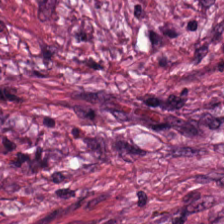H&E-stained tissue section. Showing tumor-associated stroma.
